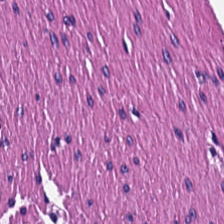H&E-stained tissue section. Predominant tissue: muscularis.
